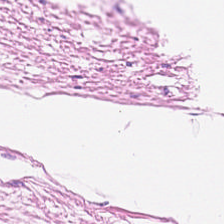H&E — This field is smooth muscle.
